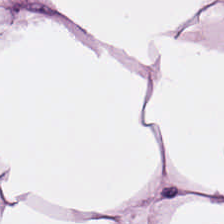H&E stain — Showing adipocytes.
